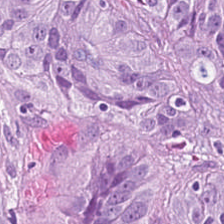Hematoxylin and eosin — This field is malignant epithelium.
